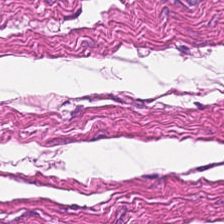Q: What is shown in this field?
A: This is muscularis.
